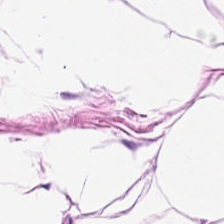H&E-stained tissue section — Histology — adipose.
